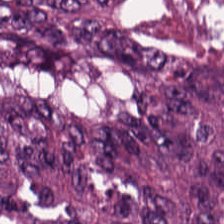Hematoxylin and eosin. Showing colorectal adenocarcinoma.
